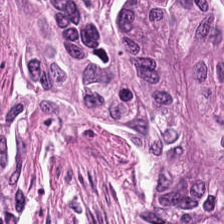H&E-stained tissue section. Q: What tissue type is shown here?
A: Tumor epithelium.
